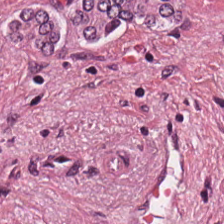H&E. Tissue type = tumor stroma.
